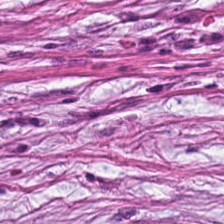Formalin-fixed paraffin-embedded section · brightfield · hematoxylin and eosin.
This patch shows tumor stroma.
